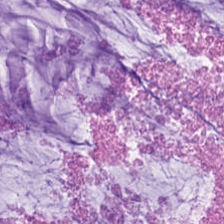Hematoxylin-and-eosin section: mucin.
